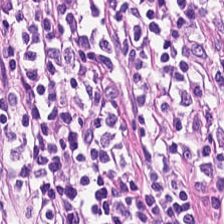H&E. Brightfield — This patch shows lymphoid infiltrate.
